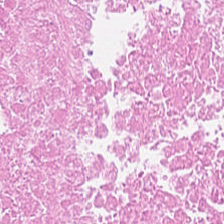H&E. Q: What is the predominant tissue type?
A: It is debris.
